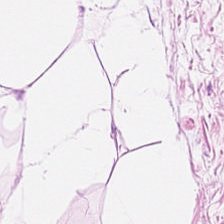The predominant tissue is fat tissue.
